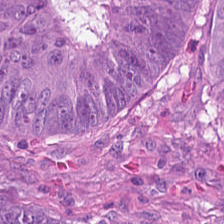Hematoxylin and eosin; WSI patch; FFPE tissue section — Q: Classify this patch.
A: The field shows colorectal adenocarcinoma.
